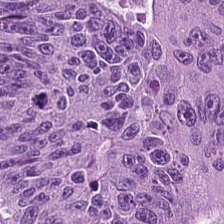Stain: H&E stain.
Tissue class: colorectal adenocarcinoma epithelium.
